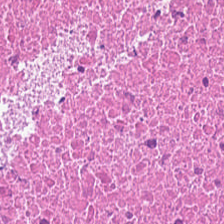Stain: hematoxylin-and-eosin stained section.
Resolution: 0.5 microns per pixel.
Acquisition: brightfield.
Predominant tissue: cellular debris.
